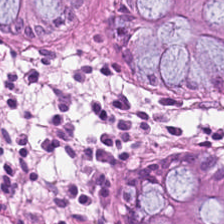Whole-slide-image patch. Hematoxylin-and-eosin stained section. 224×224 px tile. The predominant tissue is normal colon mucosa.
